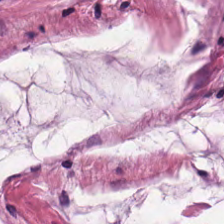H&E.
Predominantly mucus.
